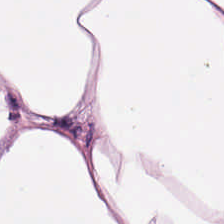H&E stain. Fat tissue.
